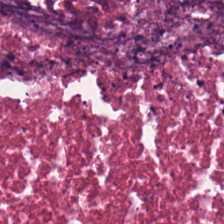The tissue here is debris.
